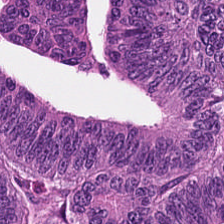FFPE. Whole-slide-image patch. H&E — This field is colorectal adenocarcinoma.
